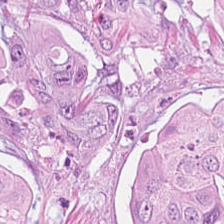Stain: hematoxylin and eosin.
Classification: malignant epithelium.
